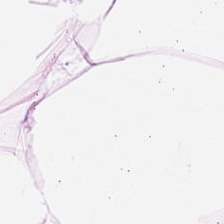Hematoxylin and eosin — Classification = fat tissue.
